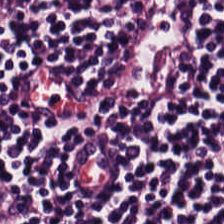The predominant tissue is lymphoid infiltrate.
